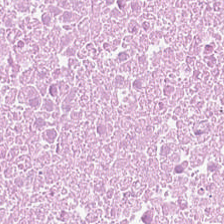Q: Classify this patch.
A: Debris.
